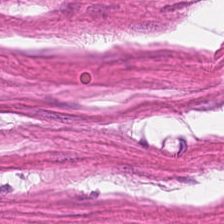Hematoxylin-and-eosin stained section.
{"tissue_type": "smooth-muscle tissue"}
